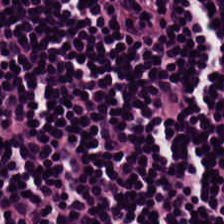H&E patch showing lymphocytes.
